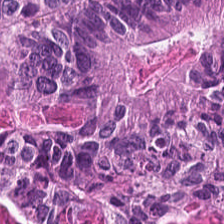Formalin-fixed paraffin-embedded section; brightfield; H&E.
Adenocarcinoma.
